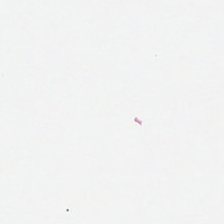Hematoxylin and eosin. 224×224 px patch. WSI patch. No tissue.
